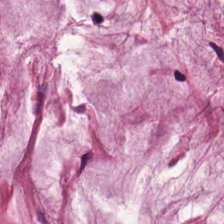Hematoxylin and eosin — Mucin.
